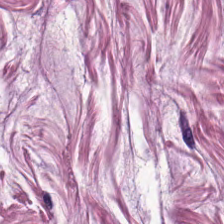Hematoxylin and eosin. Tissue class = smooth muscle.
